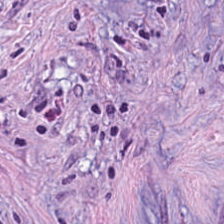Hematoxylin and eosin; 224×224 px patch; FFPE tissue section.
Q: What is shown in this field?
A: Cancer-associated stroma.
